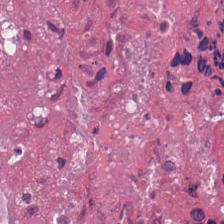H&E — This field is necrotic debris.
